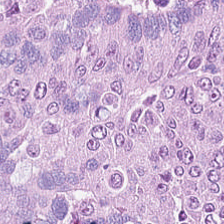H&E stain · brightfield · FFPE tissue section — Tissue class = malignant epithelium.
